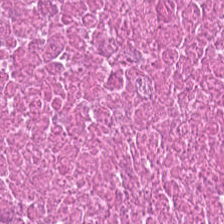H&E-stained tissue section — This field is necrotic debris.
